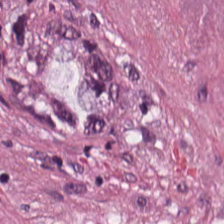H&E. The tissue class is tumor-associated stroma.
